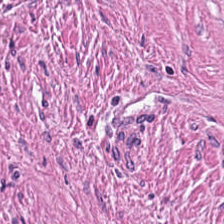Predominant tissue = tumor stroma.
